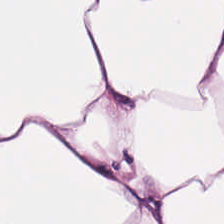Stain: H&E-stained tissue section.
Acquisition: WSI patch.
Tissue class: adipocytes.
